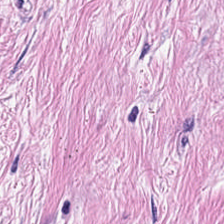H&E stain; 20× equivalent magnification.
Q: What is shown in this field?
A: It is tumor stroma.
